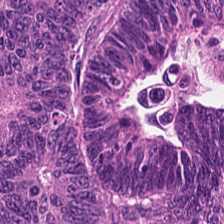This patch shows colorectal adenocarcinoma.
